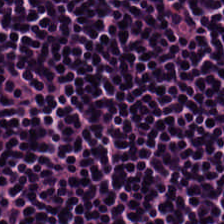H&E-stained tissue section. Tissue class: lymphoid infiltrate.
